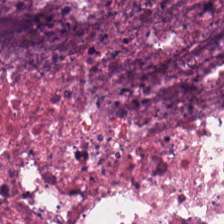H&E.
Tissue type = debris.
